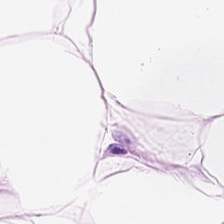224×224 px patch. Hematoxylin-and-eosin stained section. 0.5 microns per pixel. Q: Classify this patch.
A: The field shows fat tissue.
